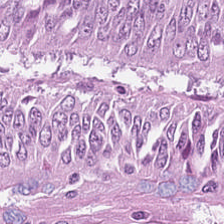The predominant tissue is tumor epithelium.
